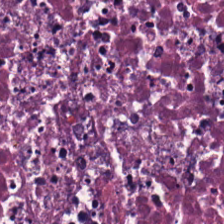Hematoxylin-and-eosin stained section. This patch shows necrotic debris.
